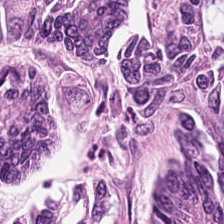H&E. 0.5 µm per pixel.
Showing malignant epithelium.
